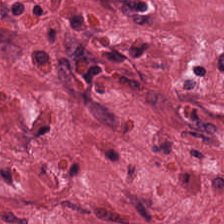Stain: hematoxylin and eosin.
Tissue class: cancer-associated stroma.
